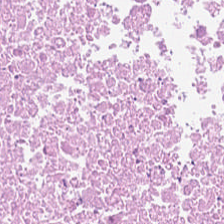Q: Identify the tissue.
A: This is necrotic debris.
